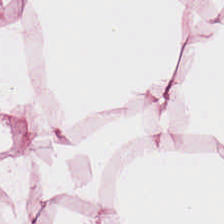H&E — The predominant tissue is adipocytes.
